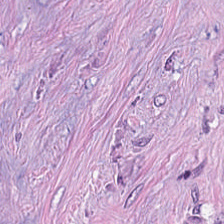Stain: H&E.
Tissue: cancer-associated stroma.
